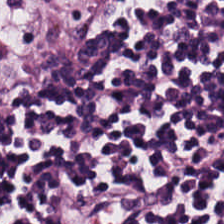Stain: H&E-stained tissue section.
Tissue: lymphocytic infiltrate.
